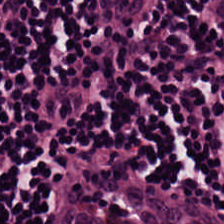Brightfield · H&E stain.
Impression — lymphocyte aggregate.
